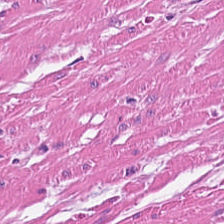Formalin-fixed paraffin-embedded section; H&E — Finding — smooth-muscle tissue.
